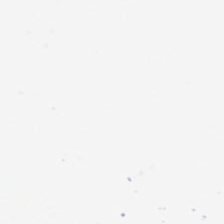Stain: H&E-stained tissue section.
Tile size: 224×224 px patch.
Field content: empty background.
